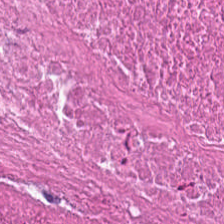Q: What tissue is shown?
A: This is necrotic debris.
